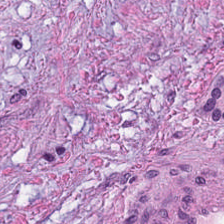Hematoxylin-and-eosin stained section. Formalin-fixed paraffin-embedded section. 0.5 µm per pixel.
The classification is tumor-associated stroma.
